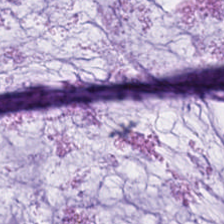Brightfield. 224×224 px patch. H&E-stained tissue section — Tissue: extracellular mucin.
